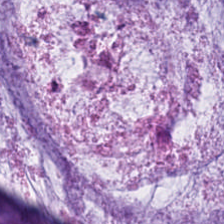Hematoxylin-and-eosin stained section.
Showing extracellular mucin.
